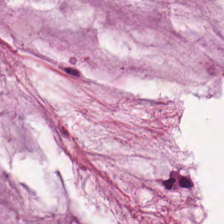The predominant tissue is mucus.
